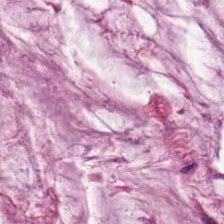Hematoxylin-and-eosin stained section. Predominant tissue = extracellular mucin.
